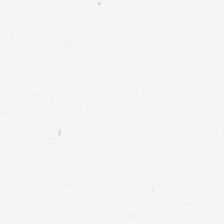Impression → no tissue.
